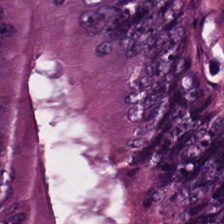Hematoxylin-and-eosin stained section.
Tissue — tumor epithelium.
